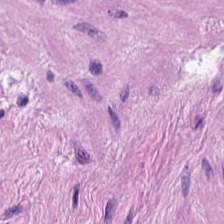Q: What is the predominant tissue type?
A: Smooth-muscle tissue.
